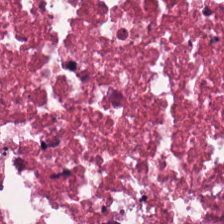Q: What is shown here?
A: The field shows necrotic debris.
